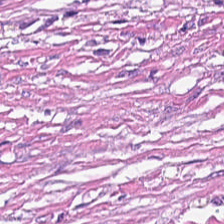224×224 pixel tile. Hematoxylin-and-eosin stained section.
Tissue = cancer-associated stroma.
